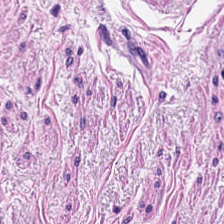H&E — smooth-muscle tissue.
